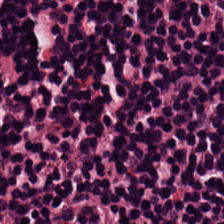0.5 µm/px · H&E. Showing lymphocytes.
